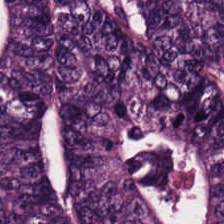Tumor epithelium.
